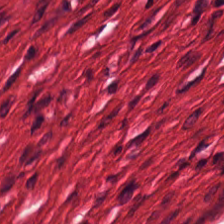The classification is smooth muscle.
